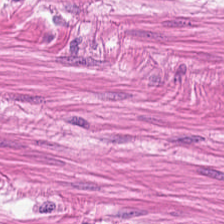Q: Identify the tissue.
A: It is muscularis.
